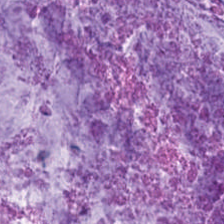224×224 pixel tile; hematoxylin-and-eosin stained section; whole-slide-image patch — This field is mucin.
